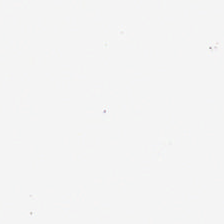H&E-stained tissue section; 224×224 pixel tile.
This patch shows no tissue.
